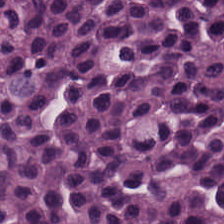Stain: H&E-stained tissue section.
Resolution: 0.5 µm per pixel.
Tissue class: lymphocytes.
